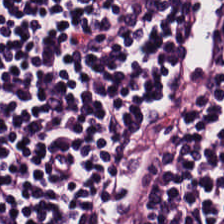Hematoxylin and eosin.
Q: What type of tissue is this?
A: The field shows lymphocyte aggregate.
